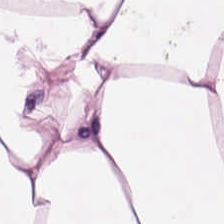H&E — Tissue — adipocytes.
